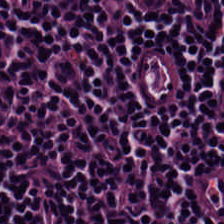H&E patch showing lymphocyte aggregate.
